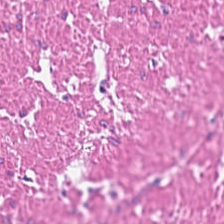Hematoxylin and eosin · 0.5 µm/px. This field is muscularis.
